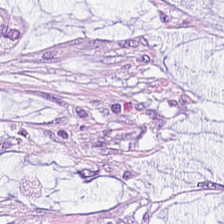Impression — mucus.
